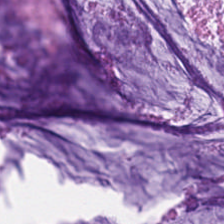H&E stain. The predominant tissue is mucus.
